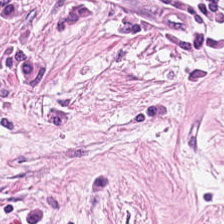H&E-stained tissue section. Formalin-fixed paraffin-embedded section.
The tissue class is cancer-associated stroma.
